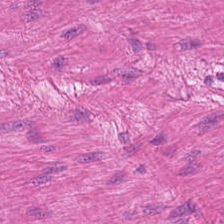H&E-stained tissue section. The tissue here is muscularis.
